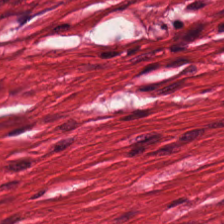Stain: H&E.
Tissue type: smooth muscle.
